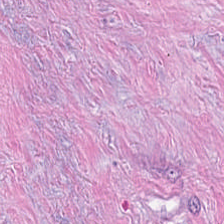H&E-stained tissue section — {"tissue_type": "desmoplastic stroma"}
